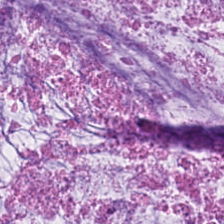Tissue: extracellular mucin.
